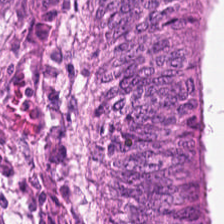Stain: H&E.
Tile size: 224×224 px tile.
Tissue type: malignant epithelium.
